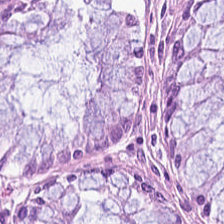Finding — normal colon mucosa.
